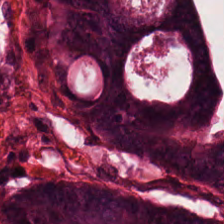H&E — colorectal adenocarcinoma epithelium.
